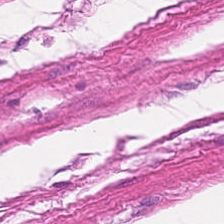Hematoxylin and eosin.
Tissue class: smooth muscle.
